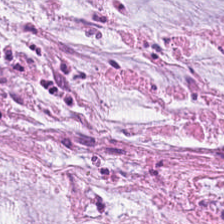Stain: H&E.
Acquisition: whole-slide-image patch.
Tissue class: extracellular mucin.
